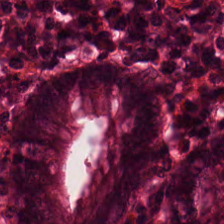Hematoxylin-and-eosin section: normal colonic mucosa.
